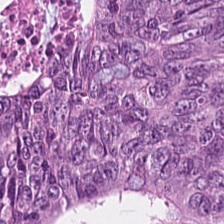Hematoxylin and eosin. Tissue — tumor epithelium.
